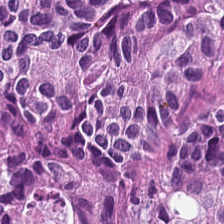Hematoxylin-and-eosin stained section. Formalin-fixed paraffin-embedded section. 0.5 µm per pixel. Predominant tissue = malignant epithelium.
